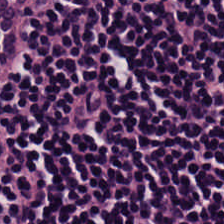Hematoxylin and eosin. {"tissue_type": "lymphocytic infiltrate"}
